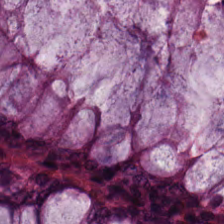H&E-stained tissue section showing benign colonic mucosa.
